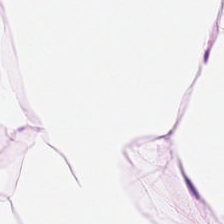H&E stain. FFPE. Whole-slide-image patch.
Tissue class — adipose.
